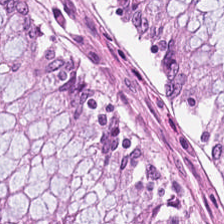Hematoxylin and eosin. {"tissue_type": "non-neoplastic colon mucosa"}
